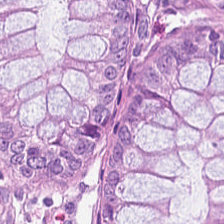Histology → normal colonic mucosa.
